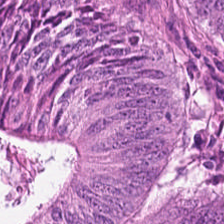Stain: H&E.
Preparation: formalin-fixed paraffin-embedded section.
Tissue type: malignant epithelium.
